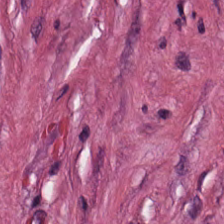Stain: H&E stain.
Classification: cancer-associated stroma.
